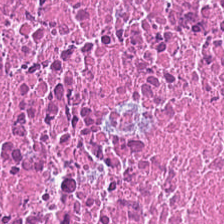H&E — Tissue class — necrotic debris.
